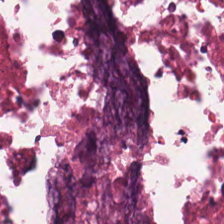0.5 microns per pixel · hematoxylin-and-eosin stained section.
The predominant tissue is cellular debris.
